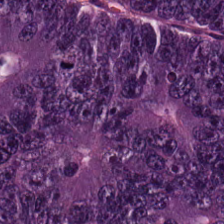Stain: H&E stain.
Resolution: 0.5 µm/px.
Tissue class: malignant epithelium.
